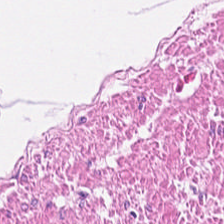224×224 px patch; H&E-stained tissue section — Smooth-muscle tissue.
